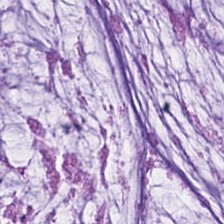H&E stain; 224×224 px tile; FFPE tissue section. Predominantly extracellular mucin.
